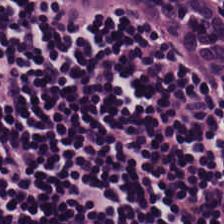H&E-stained tissue section. Q: What does this patch show?
A: This is lymphocytes.
